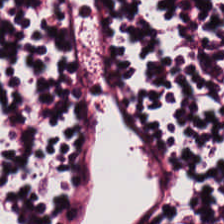Stain: hematoxylin and eosin.
Resolution: 0.5 microns per pixel.
Acquisition: brightfield microscopy.
Classification: lymphocyte aggregate.
